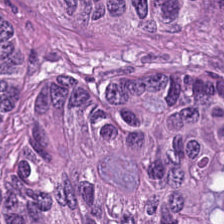Classification — colorectal adenocarcinoma.
